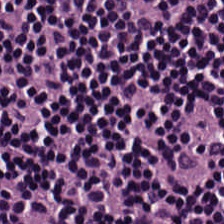Predominant tissue: lymphoid infiltrate.
